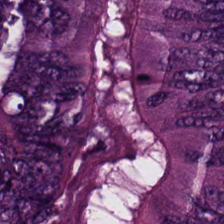H&E · whole-slide-image patch. The predominant tissue is tumor epithelium.
